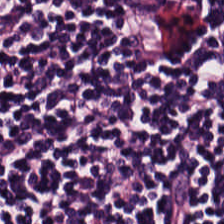H&E. Predominant tissue — lymphocyte aggregate.
